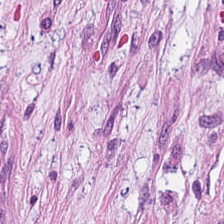Stain: hematoxylin-and-eosin stained section.
Tissue: tumor stroma.
